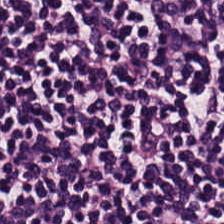H&E stain. 224×224 px tile. FFPE — Impression — lymphocytes.
